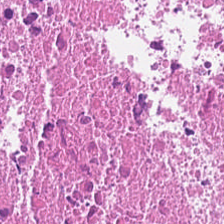224×224 pixel tile · H&E-stained tissue section — Finding — debris.
